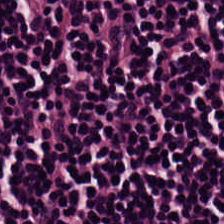H&E stain. Tissue type — lymphocytic infiltrate.
